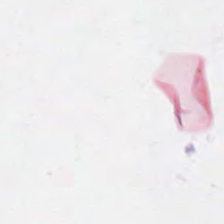H&E stain. Histology — no tissue.
